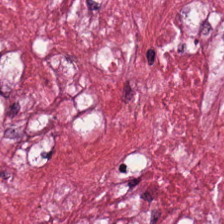H&E. Finding → tumor stroma.
